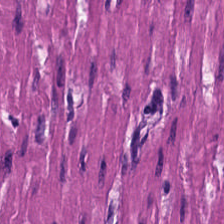FFPE tissue section; H&E stain.
Impression → smooth muscle.
